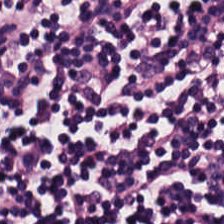Stain: hematoxylin and eosin.
Classification: lymphocytic infiltrate.
